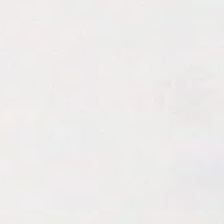H&E-stained tissue section. No tissue.
